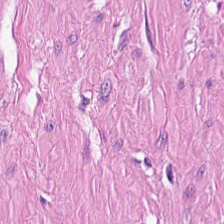This patch shows muscularis.
